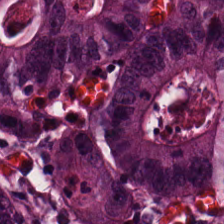0.5 µm per pixel · H&E stain · 224×224 px tile.
Predominant tissue: colorectal adenocarcinoma.
